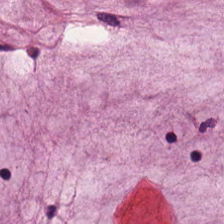H&E-stained tissue section; formalin-fixed paraffin-embedded section. Predominantly mucin.
